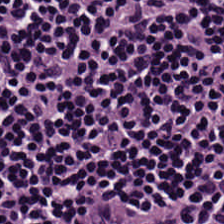H&E — Q: What tissue is shown?
A: The field shows lymphoid infiltrate.
